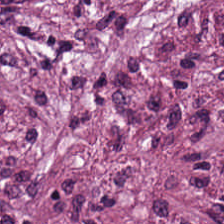Hematoxylin-and-eosin stained section. Tissue class: desmoplastic stroma.
